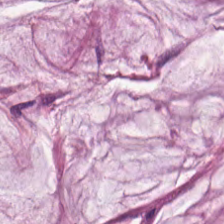H&E stain — Showing mucin.
